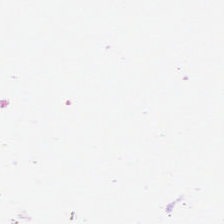H&E. FFPE — Q: What does this patch show?
A: This is empty background.
